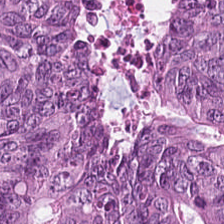0.5 µm per pixel; H&E-stained tissue section — Tissue type: malignant epithelium.
